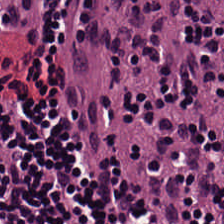H&E stain.
This field is lymphocyte aggregate.
